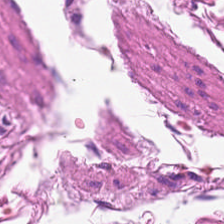224×224 pixel tile. Hematoxylin-and-eosin stained section. 0.5 µm per pixel — Tissue — smooth muscle.
